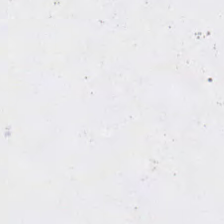H&E-stained tissue section.
Q: What does this patch show?
A: It is background.
